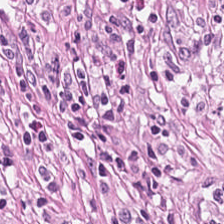224×224 px patch · H&E stain. Tissue = cancer-associated stroma.
